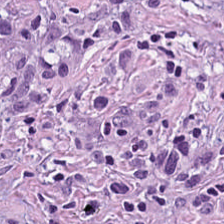Q: Identify the tissue.
A: This is tumor-associated stroma.
